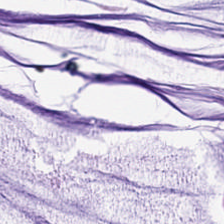H&E. This field is mucus.
